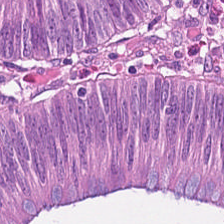H&E stain; 224×224 pixel tile — Predominantly adenocarcinoma.
